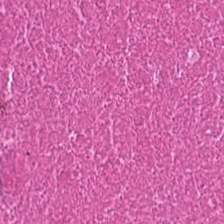H&E. Finding → debris.
